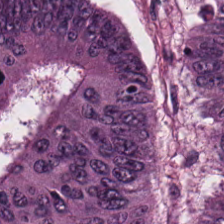Malignant epithelium.
